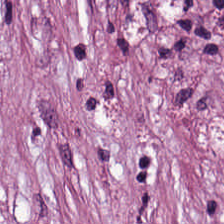224×224 px patch; H&E-stained tissue section.
Cancer-associated stroma.
